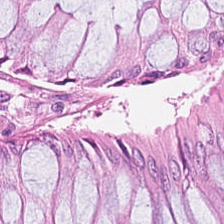Brightfield · 224×224 px patch · H&E stain.
Finding → benign colonic mucosa.
